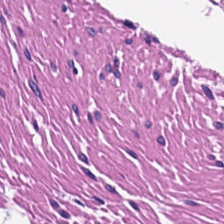Stain: H&E.
Tissue type: muscularis.
